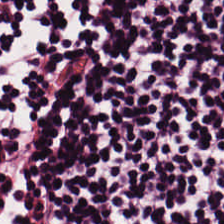Hematoxylin and eosin. 224×224 px tile.
Tissue type = lymphocytic infiltrate.
